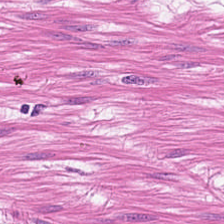224×224 pixel tile. 0.5 µm/px. Hematoxylin and eosin. Q: What is shown here?
A: It is smooth-muscle tissue.
